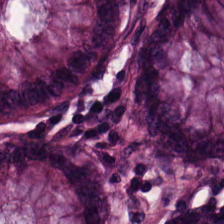H&E. The tissue here is benign colonic mucosa.
